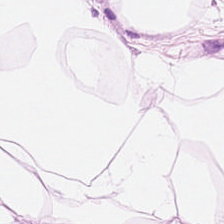Hematoxylin-and-eosin stained section — Histology — adipose tissue.
